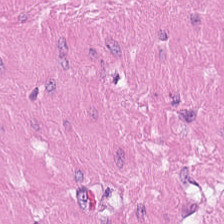0.5 µm/px; hematoxylin-and-eosin stained section — Predominantly muscularis.
